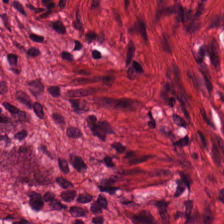H&E stain.
This patch shows muscularis.
